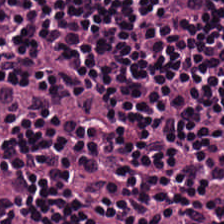H&E. This field is lymphocytic infiltrate.
